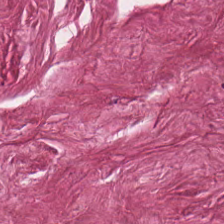H&E.
Cancer-associated stroma.
